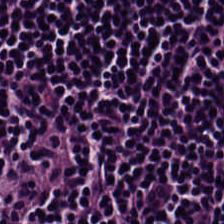H&E-stained tissue section — Predominant tissue — lymphocyte aggregate.
